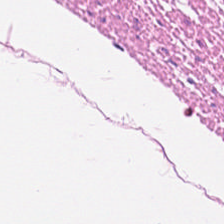224×224 pixel tile. 0.5 µm per pixel. H&E stain. This field is muscularis.
